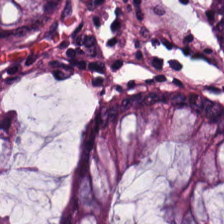Stain: H&E-stained tissue section.
Tile size: 224×224 px patch.
Tissue class: non-neoplastic colon mucosa.
